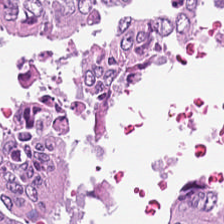Tissue class = colorectal adenocarcinoma.
